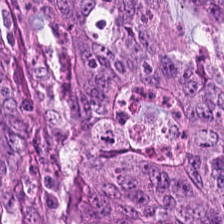Hematoxylin and eosin — Classification: adenocarcinoma.
